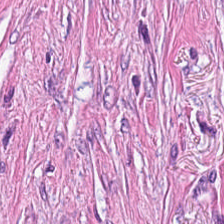Hematoxylin and eosin.
Tissue type — tumor-associated stroma.
